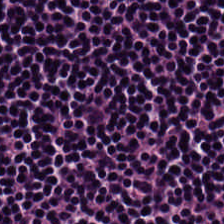Stain: hematoxylin-and-eosin stained section.
Resolution: 0.5 µm per pixel.
Predominant tissue: lymphoid infiltrate.
